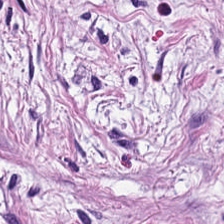Hematoxylin and eosin. Q: Classify this patch.
A: The field shows desmoplastic stroma.
